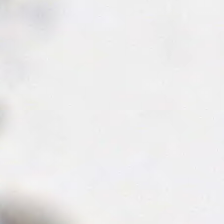This patch shows background.
